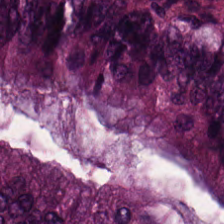WSI patch; hematoxylin and eosin. The tissue type is adenocarcinoma.
